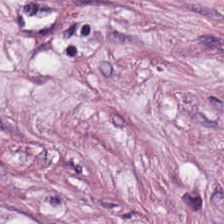H&E. Brightfield — Tissue class = tumor stroma.
